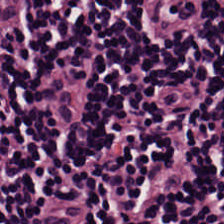Hematoxylin-and-eosin stained section; whole-slide-image patch — Tissue type — lymphocytic infiltrate.
